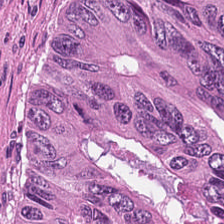This field is necrotic debris.
